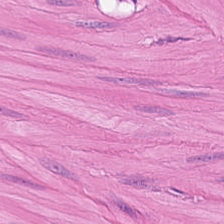Stain: H&E-stained tissue section.
Resolution: 0.5 microns per pixel.
Acquisition: brightfield.
Tissue class: muscularis.
